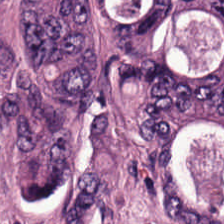224×224 px patch; whole-slide-image patch; hematoxylin and eosin — Tissue class = colorectal adenocarcinoma.
